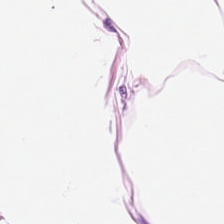Hematoxylin and eosin.
Predominantly adipocytes.
